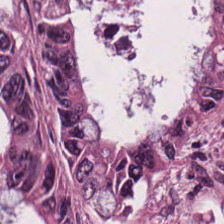Hematoxylin-and-eosin stained section.
This field is malignant epithelium.
